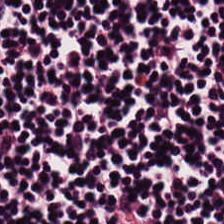H&E stain — This field is lymphocytes.
